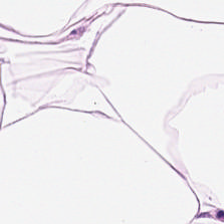H&E-stained tissue section. {"tissue_type": "adipocytes"}
